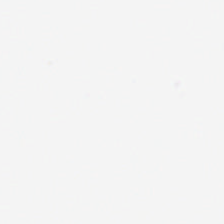Hematoxylin and eosin; 224×224 px tile. Field content: no tissue.
